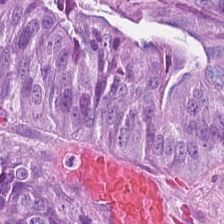H&E stain — This field is colorectal adenocarcinoma.
